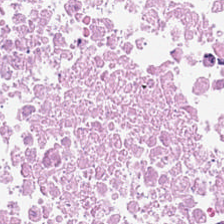224×224 px tile · H&E stain.
This patch shows necrotic debris.
